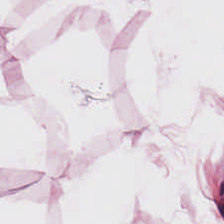H&E-stained tissue section. Predominant tissue: adipose.
